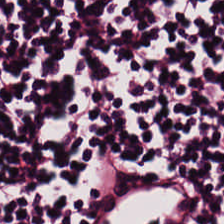H&E-stained tissue section showing lymphocytic infiltrate.
